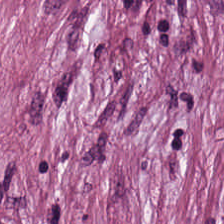Hematoxylin and eosin — Q: What does this patch show?
A: The field shows tumor-associated stroma.
